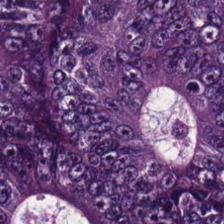Stain: H&E stain.
Predominant tissue: tumor epithelium.
